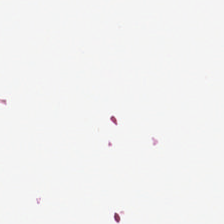H&E — Q: What is shown here?
A: Empty background.
